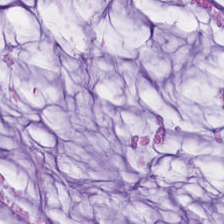224×224 pixel tile; H&E stain.
Q: What tissue is shown?
A: The field shows extracellular mucin.
